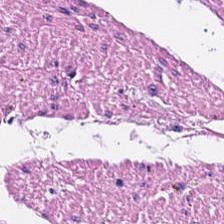Hematoxylin-and-eosin stained section; brightfield microscopy — Tissue type: muscularis.
